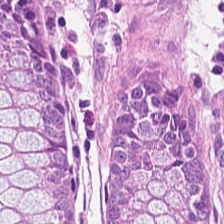Q: Classify this patch.
A: It is non-neoplastic colon mucosa.
